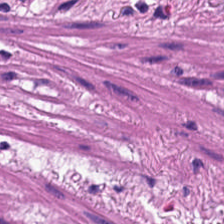Stain: H&E.
Resolution: 0.5 microns per pixel.
Predominant tissue: smooth muscle.
